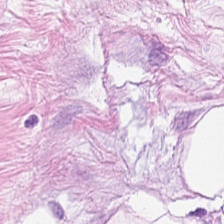H&E — adipose tissue.
